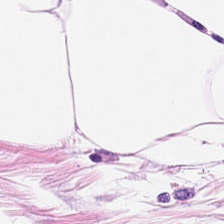Predominant tissue: adipocytes.
